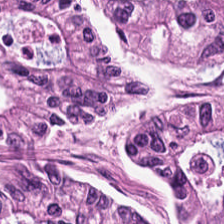Stain: hematoxylin-and-eosin stained section.
Tile size: 224×224 pixel tile.
Tissue: adenocarcinoma.
